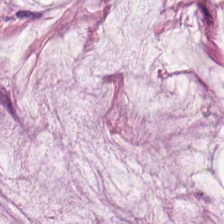WSI patch · 224×224 px patch · hematoxylin and eosin — Classification — extracellular mucin.
